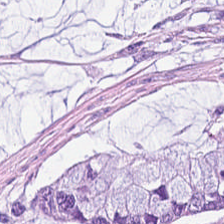H&E-stained tissue section showing extracellular mucin.
